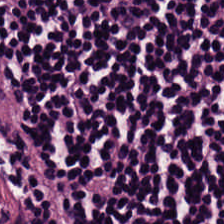WSI patch. Hematoxylin and eosin — Q: What is shown in this field?
A: This is lymphoid infiltrate.
